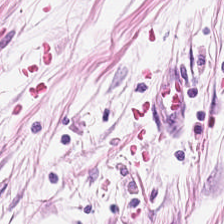Predominantly adipocytes.
